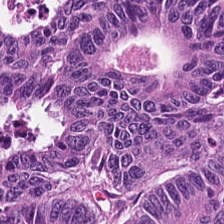H&E stain.
Classification: colorectal adenocarcinoma.
